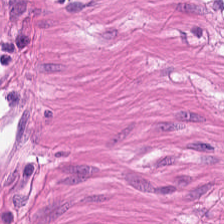Finding → muscularis.
